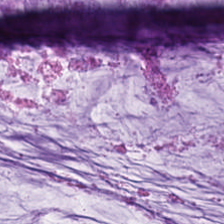Stain: H&E.
Tile size: 224×224 px patch.
Acquisition: WSI patch.
Predominant tissue: extracellular mucin.
